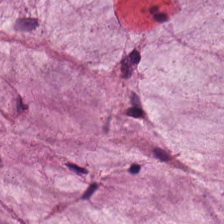H&E-stained tissue section. The tissue class is extracellular mucin.
